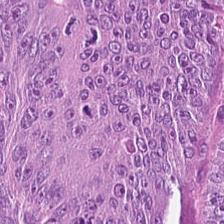Tissue — colorectal adenocarcinoma.
